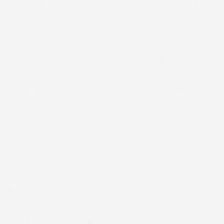WSI patch. Hematoxylin-and-eosin stained section. FFPE tissue section — No tissue.
